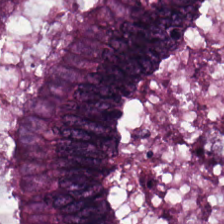H&E stain.
The predominant tissue is tumor epithelium.
